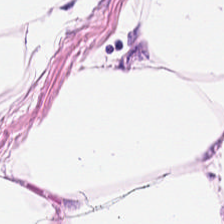Hematoxylin and eosin. Q: What does this patch show?
A: It is adipose tissue.
